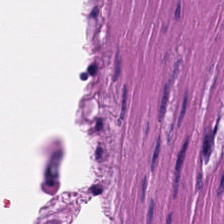H&E stain · formalin-fixed paraffin-embedded section.
Smooth-muscle tissue.
